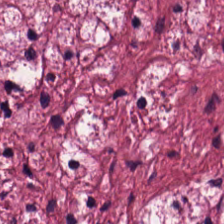Hematoxylin-and-eosin section: cancer-associated stroma.
